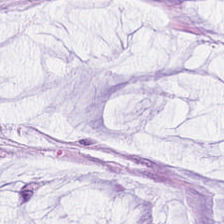Hematoxylin and eosin — {"tissue_type": "extracellular mucin"}
